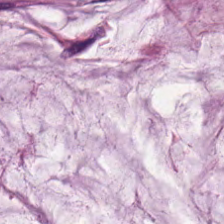H&E.
Tissue type = mucin.
